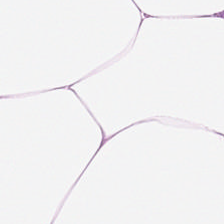Hematoxylin-and-eosin stained section.
Q: What does this patch show?
A: It is fat tissue.
